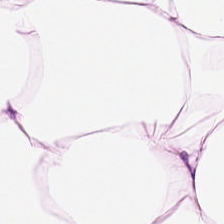H&E patch showing adipocytes.
